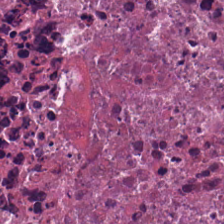Q: What type of tissue is this?
A: This is cellular debris.
